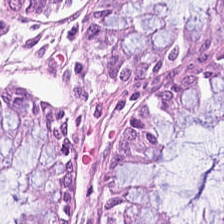Hematoxylin-and-eosin stained section. FFPE tissue section — Q: What is shown in this field?
A: Benign colonic mucosa.
